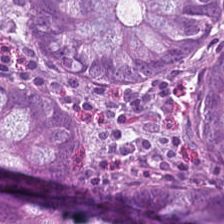Stain: H&E stain.
Predominant tissue: normal colonic mucosa.
